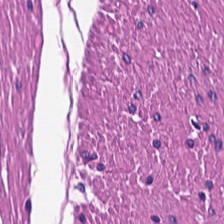224×224 pixel tile; H&E; FFPE — Q: What does this patch show?
A: It is muscularis.
